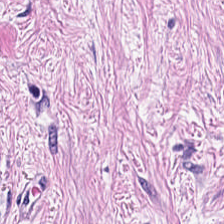Showing tumor-associated stroma.
